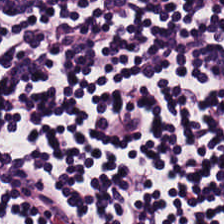Hematoxylin-and-eosin stained section. Tissue class = lymphocytes.
